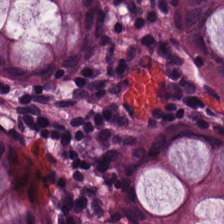H&E · 224×224 px patch. Tissue type = normal colon mucosa.
